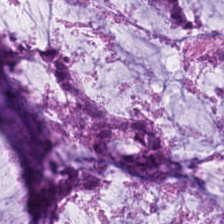H&E — Tissue — mucus.
